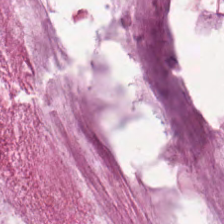H&E; 224×224 pixel tile — Finding → mucus.
